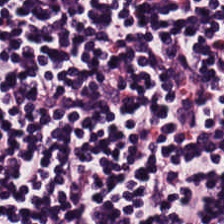Hematoxylin and eosin — The predominant tissue is lymphoid infiltrate.
